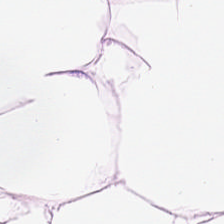Hematoxylin-and-eosin stained section. Showing adipose tissue.
